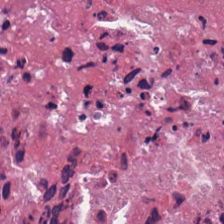H&E stain.
Debris.
